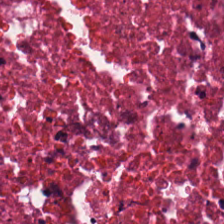Stain: H&E.
Tissue type: debris.
